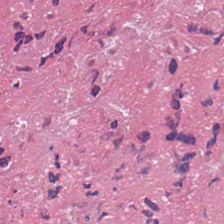Stain: H&E-stained tissue section.
Predominant tissue: necrotic debris.
